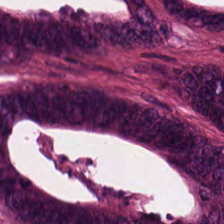224×224 px patch. H&E stain — Q: What tissue type is shown here?
A: The field shows colorectal adenocarcinoma epithelium.
